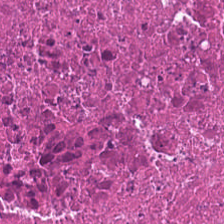WSI patch. H&E. Predominant tissue = cellular debris.
